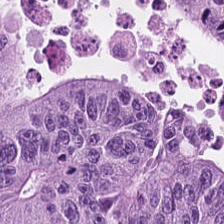H&E stain. Colorectal adenocarcinoma.
